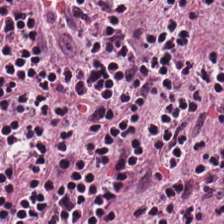Formalin-fixed paraffin-embedded section; 0.5 µm per pixel; hematoxylin-and-eosin stained section.
Q: What tissue is shown?
A: It is lymphoid infiltrate.
